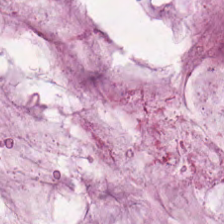H&E — mucin.
